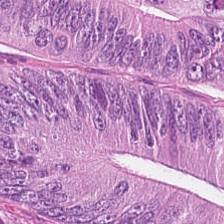Hematoxylin and eosin. This field is adenocarcinoma.
